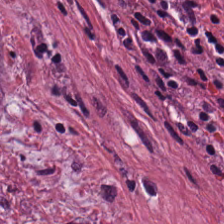Q: What tissue type is shown here?
A: It is tumor stroma.
